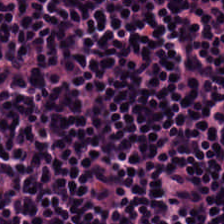FFPE tissue section. Hematoxylin-and-eosin stained section.
Histology → lymphocyte aggregate.
